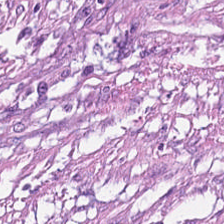H&E. The predominant tissue is tumor-associated stroma.
